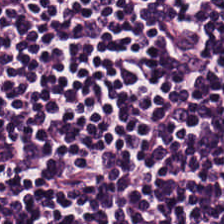Hematoxylin-and-eosin stained section.
Tissue type = lymphoid infiltrate.
